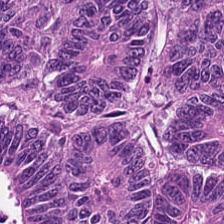Hematoxylin-and-eosin stained section; whole-slide-image patch; 20× equivalent magnification.
Q: Identify the tissue.
A: The field shows colorectal adenocarcinoma.
